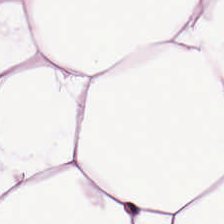H&E — Q: Classify this patch.
A: Adipose.
